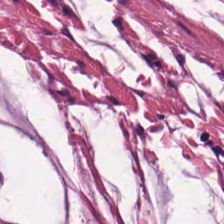FFPE tissue section; H&E stain; brightfield.
Showing mucus.
